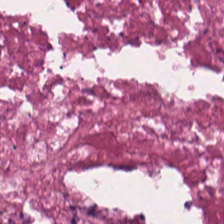H&E-stained tissue section · 224×224 px patch · 0.5 µm/px. The tissue here is necrotic debris.
